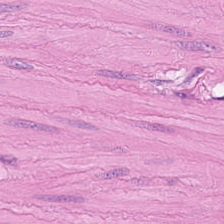Stain: H&E.
Tissue: smooth-muscle tissue.
